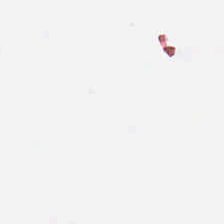Stain: hematoxylin and eosin.
Content: empty background.
